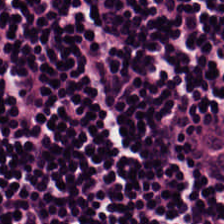The tissue here is lymphocyte aggregate.
